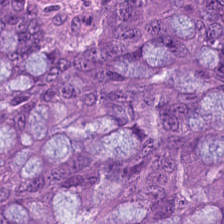Classification: colorectal adenocarcinoma.
